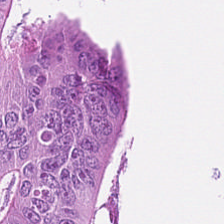Hematoxylin-and-eosin stained section — Predominant tissue = adenocarcinoma.
